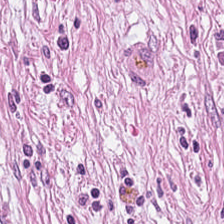This field is tumor-associated stroma.
